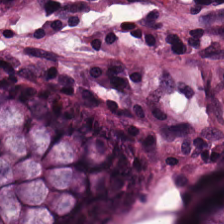Stain: hematoxylin-and-eosin stained section.
Tile size: 224×224 pixel tile.
Preparation: formalin-fixed paraffin-embedded section.
Tissue: non-neoplastic colon mucosa.
